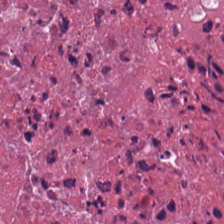H&E. Impression — debris.
